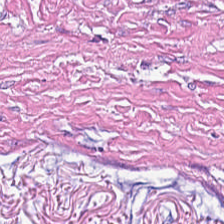This field is desmoplastic stroma.
